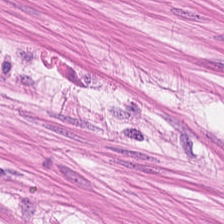Impression → smooth-muscle tissue.
